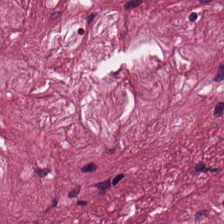H&E-stained tissue section — The tissue here is desmoplastic stroma.
